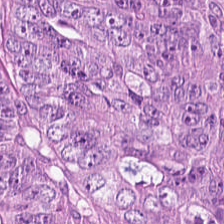Whole-slide-image patch. Hematoxylin and eosin. Colorectal adenocarcinoma.
